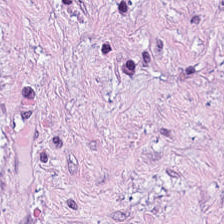H&E stain. This field is cancer-associated stroma.
